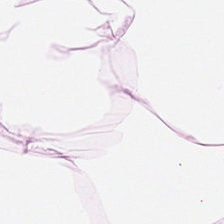H&E. 0.5 microns per pixel — Showing adipose tissue.
